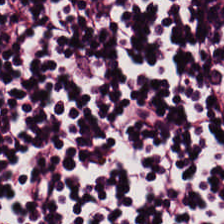Hematoxylin and eosin — Classification — lymphocytic infiltrate.
